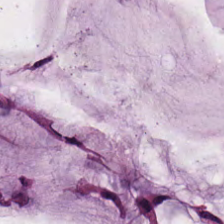Brightfield microscopy; hematoxylin and eosin — Q: What is shown in this field?
A: This is extracellular mucin.
